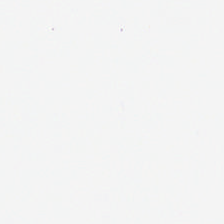0.5 microns per pixel · hematoxylin and eosin · formalin-fixed paraffin-embedded section — Field content — background (no tissue).
